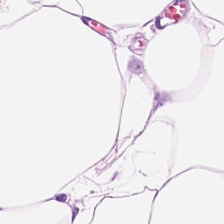Hematoxylin-and-eosin stained section · 224×224 px tile.
Finding → adipocytes.
